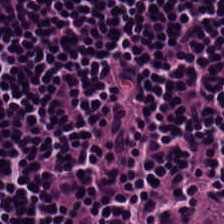FFPE. H&E.
Q: What is the predominant tissue type?
A: The field shows lymphocyte aggregate.
